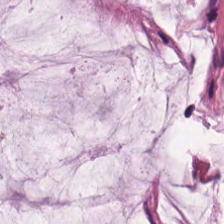0.5 µm per pixel · H&E-stained tissue section.
This patch shows extracellular mucin.
